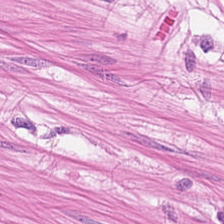224×224 pixel tile · hematoxylin-and-eosin stained section · 20× equivalent magnification — Impression — smooth muscle.
